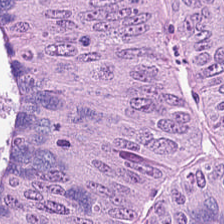The predominant tissue is tumor epithelium.
